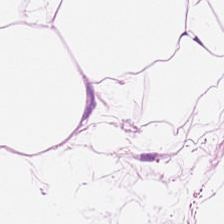224×224 px patch · H&E. Q: Identify the tissue.
A: This is adipose.
